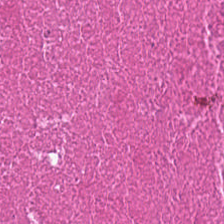Hematoxylin and eosin.
This patch shows cellular debris.
